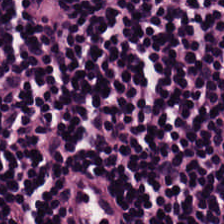Stain: hematoxylin and eosin.
Predominant tissue: lymphocytic infiltrate.
